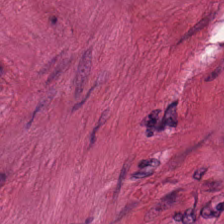H&E-stained tissue section. Whole-slide-image patch. This field is smooth-muscle tissue.
